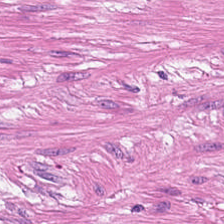H&E; FFPE tissue section — Histology → smooth-muscle tissue.
